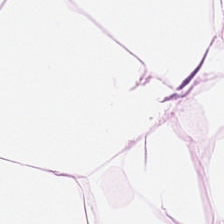H&E stain.
This patch shows adipose.
